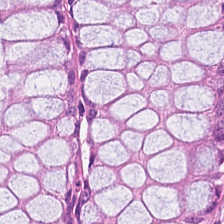Stain: H&E.
Classification: normal colonic mucosa.
